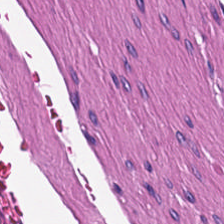Brightfield; hematoxylin and eosin.
Tissue — muscularis.
